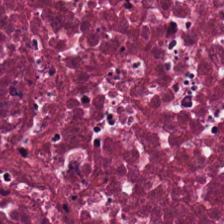Hematoxylin-and-eosin section: necrotic debris.
